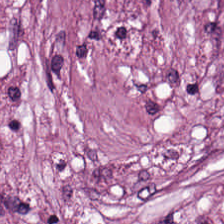Hematoxylin-and-eosin stained section — Q: What tissue type is shown here?
A: It is tumor stroma.
